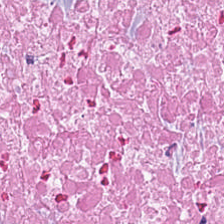H&E-stained tissue section · 224×224 px tile — This field is debris.
